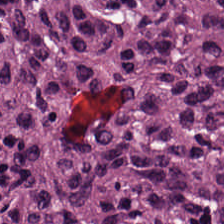Hematoxylin and eosin — Impression → malignant epithelium.
